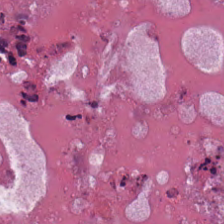224×224 px tile · H&E. The tissue here is debris.
